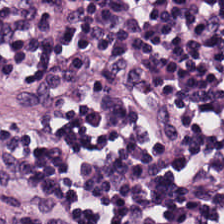Hematoxylin-and-eosin stained section — The predominant tissue is lymphocyte aggregate.
